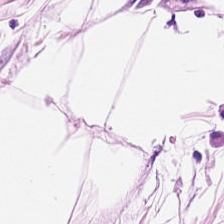Hematoxylin and eosin · 224×224 pixel tile. Tissue type = adipose.
